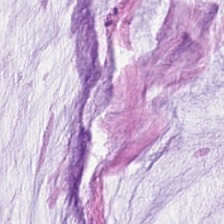H&E.
The tissue here is extracellular mucin.
